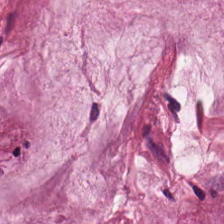Q: What type of tissue is this?
A: It is mucin.
